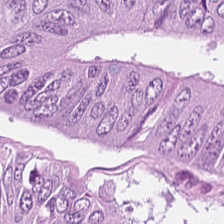224×224 pixel tile; hematoxylin and eosin.
{"tissue_type": "adenocarcinoma"}
